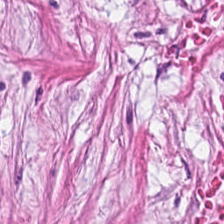Hematoxylin and eosin; FFPE — Q: What is the predominant tissue type?
A: This is tumor-associated stroma.
